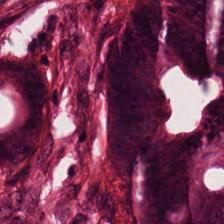H&E stain.
Histology — colorectal adenocarcinoma.
